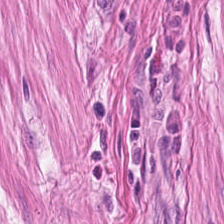Q: What tissue type is shown here?
A: The field shows smooth muscle.
